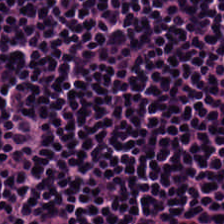H&E stain. 224×224 pixel tile. FFPE tissue section.
The predominant tissue is lymphocytic infiltrate.
